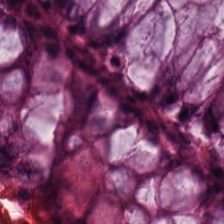20× equivalent magnification; H&E — Benign colonic mucosa.
